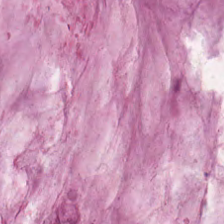H&E-stained tissue section.
This patch shows extracellular mucin.
